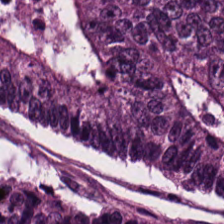WSI patch · H&E stain. The tissue here is malignant epithelium.
